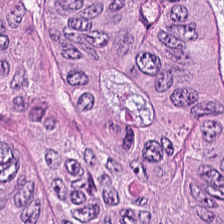Hematoxylin-and-eosin stained section; whole-slide-image patch; FFPE — Q: Classify this patch.
A: The field shows colorectal adenocarcinoma.
